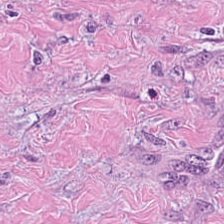H&E stain; 224×224 px patch.
Q: What is the predominant tissue type?
A: The field shows desmoplastic stroma.
